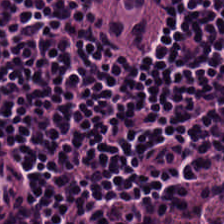Hematoxylin-and-eosin section: lymphocytes.
